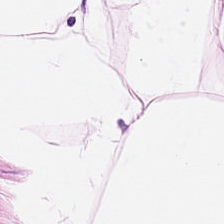H&E-stained section; the field shows adipocytes.
